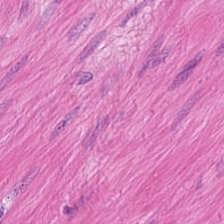Hematoxylin-and-eosin stained section — Muscularis.
